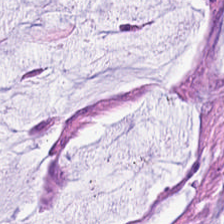H&E stain.
Q: Classify this patch.
A: It is mucin.
